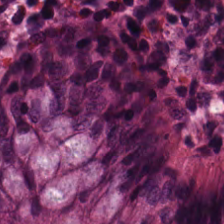Hematoxylin and eosin · formalin-fixed paraffin-embedded section.
Tissue type = normal colon mucosa.
